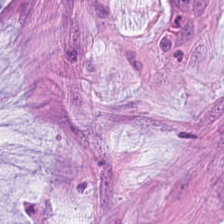Brightfield microscopy · FFPE tissue section · H&E-stained tissue section. Finding → extracellular mucin.
